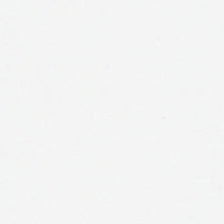Background — no tissue in this field.
